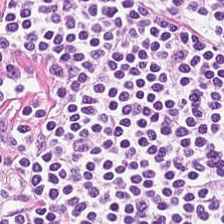Formalin-fixed paraffin-embedded section; hematoxylin and eosin — {"tissue_type": "lymphoid infiltrate"}
